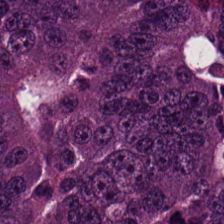Hematoxylin-and-eosin stained section. Q: What is shown in this field?
A: Malignant epithelium.
